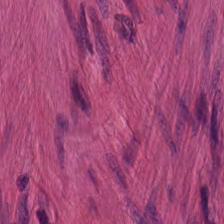Hematoxylin-and-eosin stained section — This patch shows smooth muscle.
